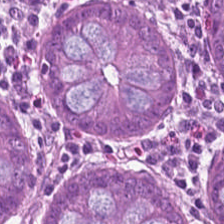H&E-stained tissue section.
Q: What tissue is shown?
A: It is benign colonic mucosa.
